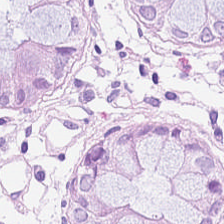H&E-stained tissue section. Q: What tissue is shown?
A: The field shows non-neoplastic colon mucosa.
